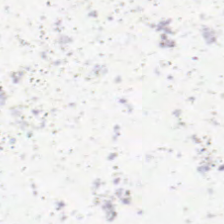Stain: H&E-stained tissue section.
Resolution: 0.5 microns per pixel.
Preparation: FFPE.
Field content: empty background.
